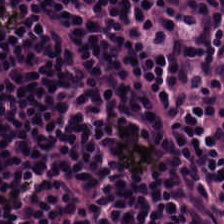H&E-stained tissue section — Classification = lymphocytic infiltrate.
